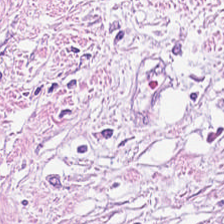Hematoxylin and eosin; whole-slide-image patch; 20× equivalent magnification.
This field is tumor stroma.
